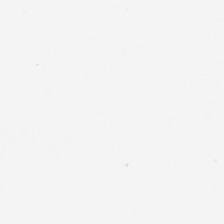This patch shows empty background.
